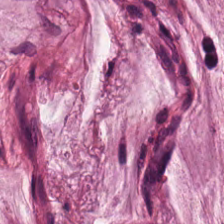H&E-stained tissue section; 20× equivalent magnification — Predominant tissue: mucin.
